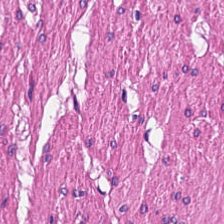Hematoxylin-and-eosin stained section.
Predominant tissue = smooth-muscle tissue.
